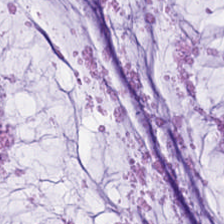{"tissue_type": "mucin"}
